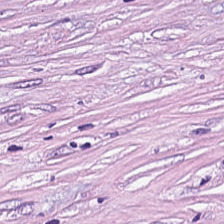H&E. Finding — desmoplastic stroma.
